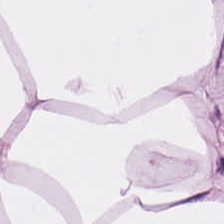H&E patch showing fat tissue.
